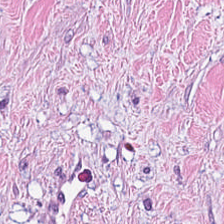H&E stain — Predominantly desmoplastic stroma.
